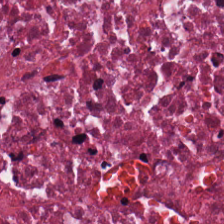The tissue here is necrotic debris.
